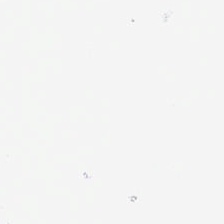H&E stain; formalin-fixed paraffin-embedded section.
No tissue present; background only.
